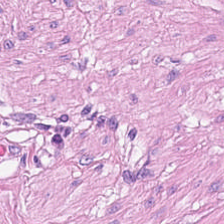H&E-stained tissue section.
Histology — smooth muscle.
